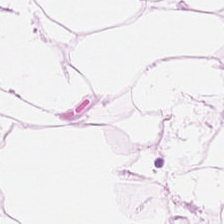0.5 microns per pixel. Hematoxylin and eosin. FFPE tissue section — Q: What does this patch show?
A: Adipose.
